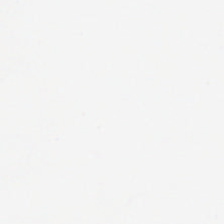0.5 microns per pixel. Hematoxylin and eosin. FFPE tissue section — Field content = background (no tissue).
